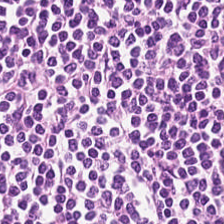Hematoxylin and eosin.
Tissue type: lymphocyte aggregate.
